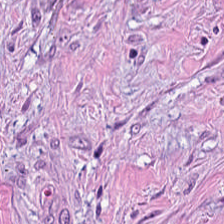Brightfield microscopy; hematoxylin and eosin — The tissue type is tumor stroma.
